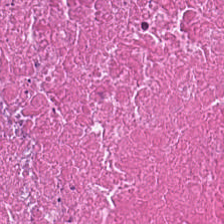Stain: H&E-stained tissue section.
Predominant tissue: cellular debris.
